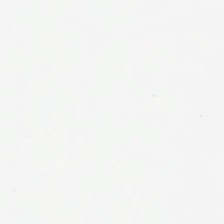Background — no tissue in this field.
